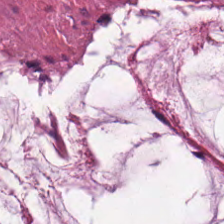H&E-stained tissue section showing mucus.
